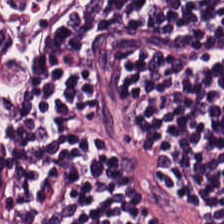H&E-stained tissue section.
Predominantly lymphocytes.
